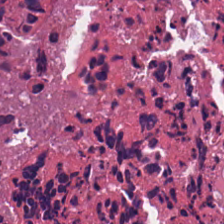Q: What tissue type is shown here?
A: This is cellular debris.
